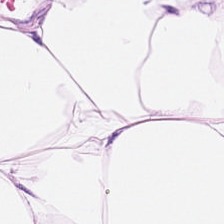Hematoxylin and eosin · 0.5 µm per pixel · 224×224 px patch.
Tissue type — fat tissue.
